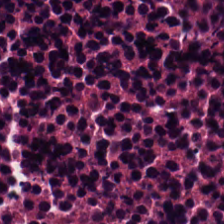H&E stain — Predominant tissue = debris.
